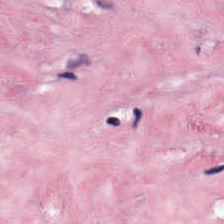Q: What type of tissue is this?
A: The field shows tumor-associated stroma.
